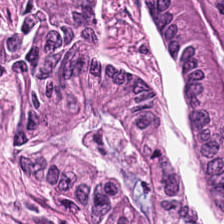Stain: H&E-stained tissue section.
Resolution: 20× equivalent magnification.
Tissue: tumor epithelium.
